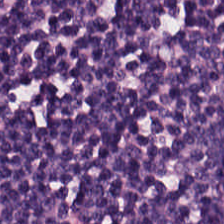H&E-stained tissue section. 224×224 px tile — Lymphocytic infiltrate.
